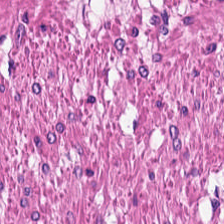H&E-stained tissue section.
{"tissue_type": "smooth-muscle tissue"}
